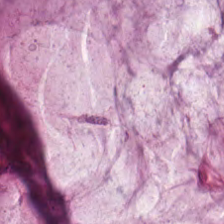20× equivalent magnification · hematoxylin and eosin — Q: What is shown in this field?
A: This is mucus.
